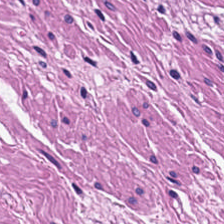Hematoxylin and eosin.
Q: What is the predominant tissue type?
A: The field shows muscularis.
